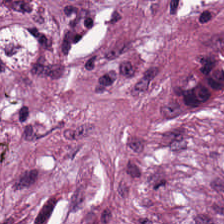H&E stain — Predominant tissue: tumor stroma.
